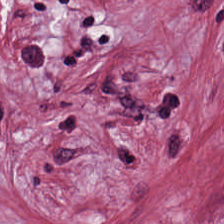Impression — desmoplastic stroma.
